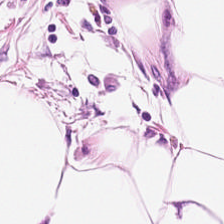0.5 µm/px. H&E. 224×224 px tile — The tissue type is adipose.
